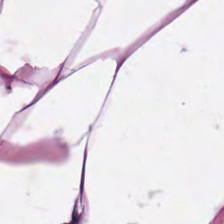224×224 px tile. H&E stain. Whole-slide-image patch — Adipose tissue.
